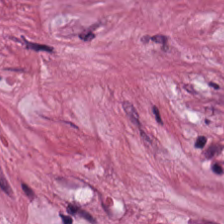Hematoxylin and eosin. Q: Classify this patch.
A: This is tumor stroma.
